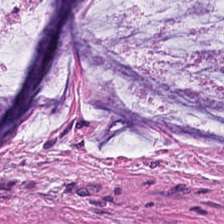H&E — Q: What tissue type is shown here?
A: Extracellular mucin.
